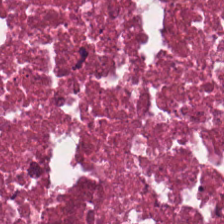H&E-stained tissue section; WSI patch — Q: What tissue is shown?
A: It is necrotic debris.
